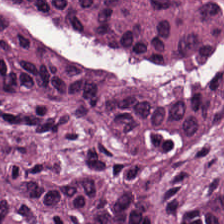Formalin-fixed paraffin-embedded section · H&E stain — The tissue type is tumor epithelium.
